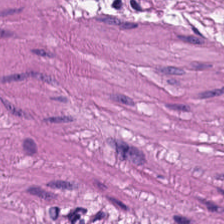Hematoxylin-and-eosin section: smooth-muscle tissue.
